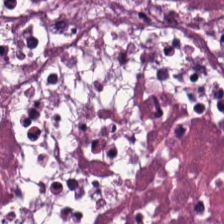H&E — Predominantly necrotic debris.
